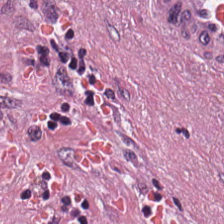H&E-stained tissue section.
This patch shows tumor stroma.
